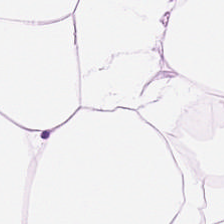Q: What tissue is shown?
A: It is adipose.
